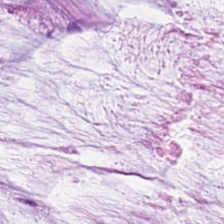Hematoxylin and eosin.
Histology — mucus.
